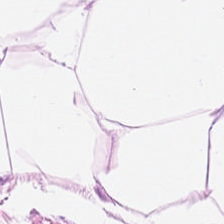H&E · brightfield microscopy — Showing adipocytes.
